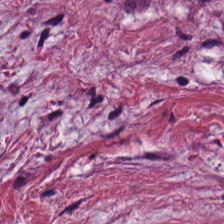Hematoxylin-and-eosin stained section — This patch shows desmoplastic stroma.
